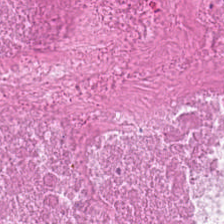The predominant tissue is debris.
